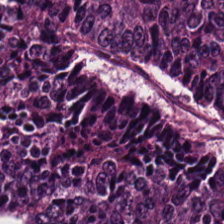Formalin-fixed paraffin-embedded section · WSI patch · H&E — The tissue is tumor epithelium.
